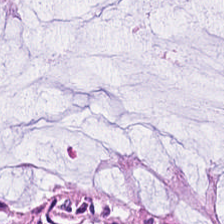Hematoxylin-and-eosin stained section — {"tissue_type": "benign colonic mucosa"}
